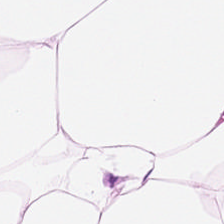FFPE tissue section · H&E. {"tissue_type": "adipose"}
